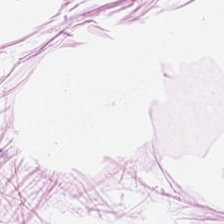H&E-stained section; the field shows adipocytes.
